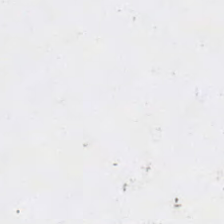0.5 µm/px · 224×224 px patch · hematoxylin-and-eosin stained section — The content is background (no tissue).
